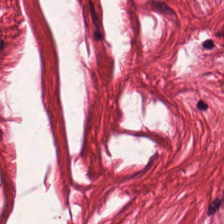H&E. This patch shows smooth muscle.
